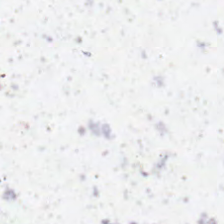H&E.
Background — no tissue in this field.
